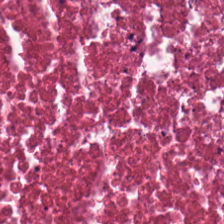224×224 pixel tile. H&E stain.
Q: What type of tissue is this?
A: It is necrotic debris.
